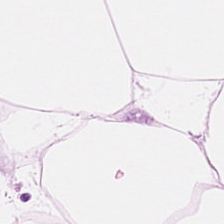Stain: hematoxylin-and-eosin stained section.
Preparation: FFPE tissue section.
Classification: adipose tissue.
